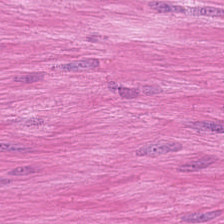Q: What is shown in this field?
A: It is smooth-muscle tissue.
